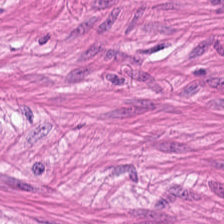H&E-stained tissue section. 224×224 pixel tile — This patch shows smooth muscle.
